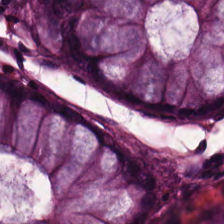Stain: H&E.
Classification: normal colonic mucosa.
